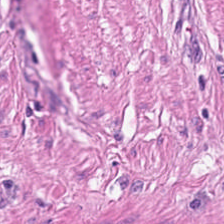Hematoxylin-and-eosin stained section — The tissue type is smooth-muscle tissue.
